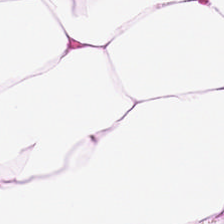Brightfield microscopy · H&E-stained tissue section · 224×224 pixel tile.
Q: What tissue type is shown here?
A: The field shows adipose tissue.
